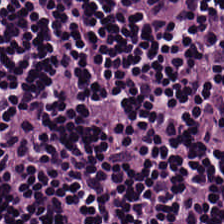224×224 px patch; 0.5 µm/px; H&E stain.
This field is lymphocytic infiltrate.
